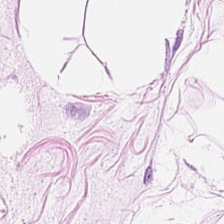Brightfield microscopy · H&E-stained tissue section · FFPE tissue section — Q: Classify this patch.
A: Adipose tissue.
